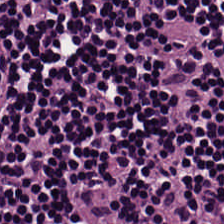Q: What is shown in this field?
A: This is lymphocyte aggregate.
